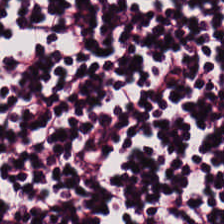224×224 px tile. H&E-stained tissue section.
The tissue here is lymphoid infiltrate.
